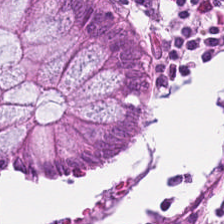Hematoxylin and eosin. Q: What does this patch show?
A: Normal colon mucosa.
